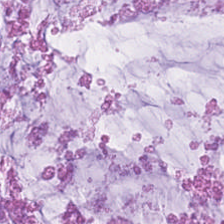H&E-stained tissue section · 224×224 px patch. Tissue class: extracellular mucin.
